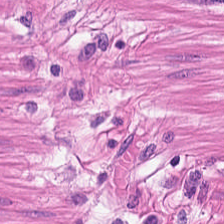Stain: H&E stain.
Acquisition: brightfield.
Classification: smooth-muscle tissue.
